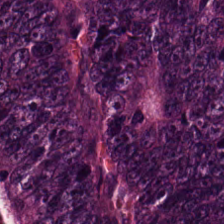H&E. Adenocarcinoma.
